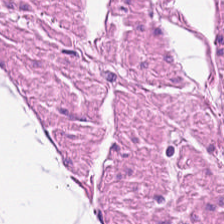H&E — Tissue — smooth muscle.
